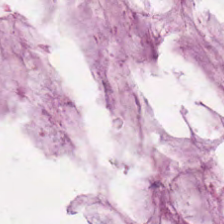Hematoxylin and eosin — Tissue — mucus.
